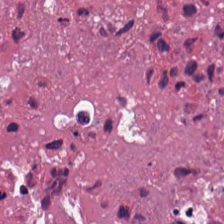H&E. Q: What tissue is shown?
A: It is cellular debris.
